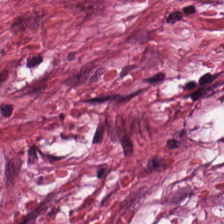H&E stain · 224×224 px tile · brightfield microscopy.
The tissue here is tumor-associated stroma.
